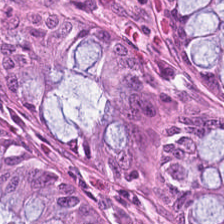Hematoxylin and eosin.
Tissue class = non-neoplastic colon mucosa.
